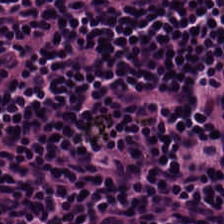H&E. Predominant tissue: lymphocytic infiltrate.
